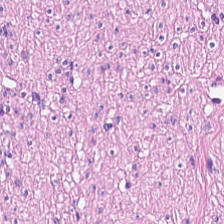Hematoxylin and eosin.
Q: What is the predominant tissue type?
A: This is smooth-muscle tissue.
